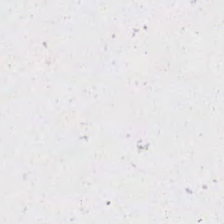Brightfield microscopy · hematoxylin-and-eosin stained section · 0.5 µm per pixel — {"content": "empty background"}
